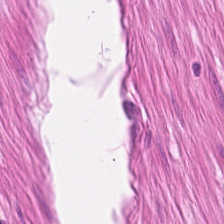0.5 µm per pixel. H&E stain.
Predominant tissue: smooth-muscle tissue.
